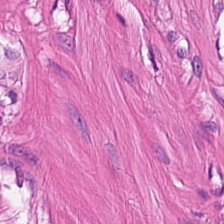Showing muscularis.
